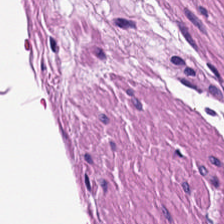Hematoxylin and eosin. Tissue — muscularis.
